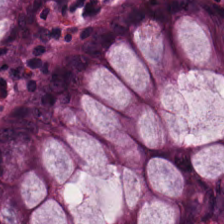Hematoxylin-and-eosin stained section. Q: What is shown in this field?
A: This is normal colon mucosa.
